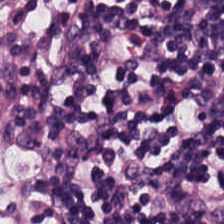Hematoxylin and eosin · 224×224 pixel tile · 0.5 µm per pixel — Predominantly lymphocytic infiltrate.
